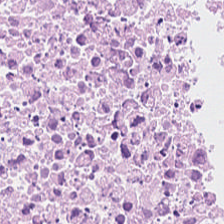Hematoxylin-and-eosin stained section. Classification = debris.
